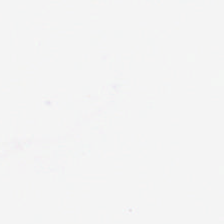Stain: H&E-stained tissue section.
Content: empty background.
